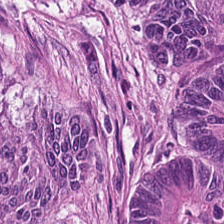Q: What tissue is shown?
A: This is adenocarcinoma.
